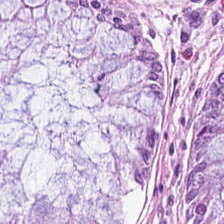WSI patch · hematoxylin and eosin — This patch shows non-neoplastic colon mucosa.
